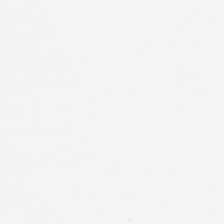Field content — empty background.
